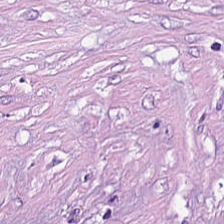0.5 microns per pixel. H&E-stained tissue section. Tissue — tumor stroma.
